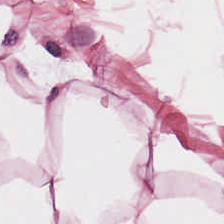H&E · whole-slide-image patch — Q: Identify the tissue.
A: The field shows adipose.
